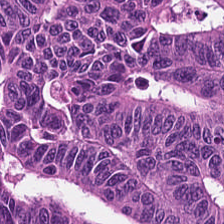Hematoxylin and eosin. WSI patch — Q: What is the predominant tissue type?
A: It is colorectal adenocarcinoma epithelium.
